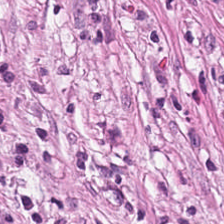H&E-stained tissue section; 224×224 px patch; 0.5 µm/px.
{"tissue_type": "tumor-associated stroma"}
